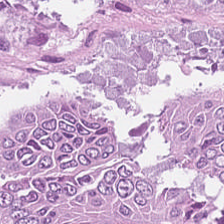Colorectal adenocarcinoma.
